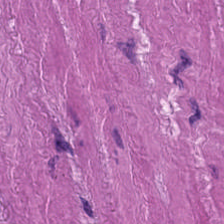FFPE tissue section · H&E — The tissue is muscularis.
